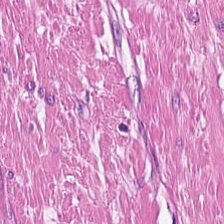H&E. Tissue type — muscularis.
